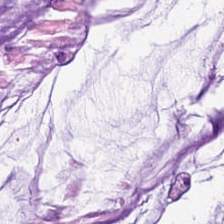224×224 px tile · hematoxylin and eosin.
Predominantly mucin.
